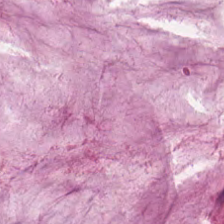FFPE tissue section; hematoxylin-and-eosin stained section.
This field is extracellular mucin.
